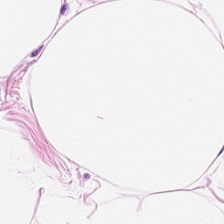H&E-stained tissue section.
Adipose.
